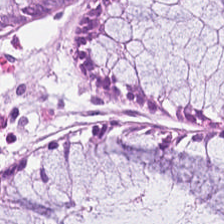Hematoxylin and eosin · brightfield microscopy.
Impression → normal colon mucosa.
